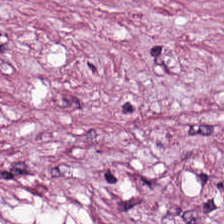H&E stain; FFPE.
Tissue class: tumor stroma.
